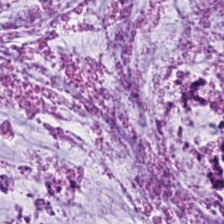H&E-stained tissue section — Classification — extracellular mucin.
